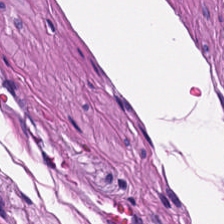0.5 µm per pixel · hematoxylin and eosin — Classification: muscularis.
